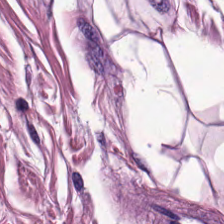The predominant tissue is smooth muscle.
